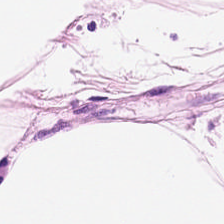Tissue: adipose tissue.
